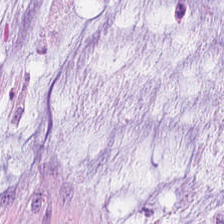The tissue type is mucin.
